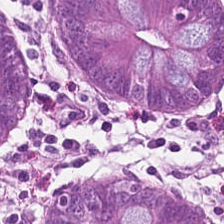Hematoxylin and eosin. Showing non-neoplastic colon mucosa.
